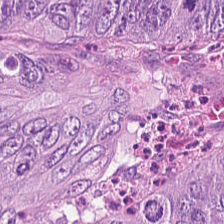224×224 px patch. H&E-stained tissue section — Finding → malignant epithelium.
